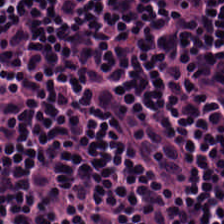H&E — The predominant tissue is lymphocytic infiltrate.
